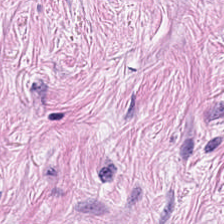Hematoxylin and eosin · formalin-fixed paraffin-embedded section · 224×224 px patch. This field is cancer-associated stroma.
